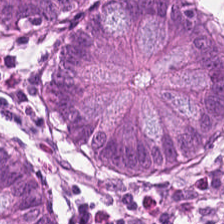H&E-stained tissue section · 0.5 µm per pixel. Q: What is shown here?
A: Benign colonic mucosa.
